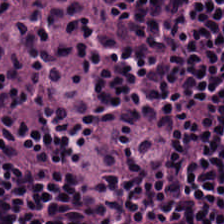Formalin-fixed paraffin-embedded section. Brightfield. Hematoxylin and eosin. Q: What is shown here?
A: It is lymphocytic infiltrate.
